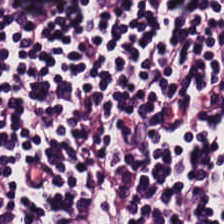H&E stain — Tissue class = lymphocytic infiltrate.
